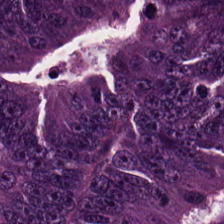224×224 pixel tile. H&E-stained tissue section. 20× equivalent magnification.
Tissue = colorectal adenocarcinoma epithelium.
